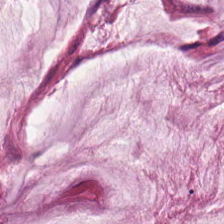Hematoxylin-and-eosin stained section. 224×224 pixel tile.
The classification is mucus.
